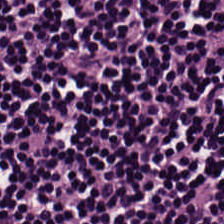Finding → lymphocytic infiltrate.
